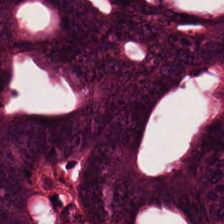H&E stain. 224×224 px patch. Classification: colorectal adenocarcinoma epithelium.
